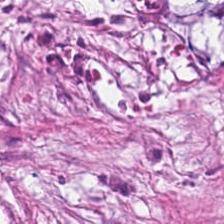Hematoxylin and eosin; FFPE. Classification = tumor-associated stroma.
